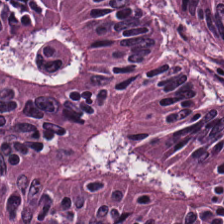Hematoxylin and eosin — The predominant tissue is colorectal adenocarcinoma.
